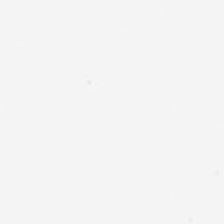0.5 µm per pixel; hematoxylin-and-eosin stained section — Classification: background.
